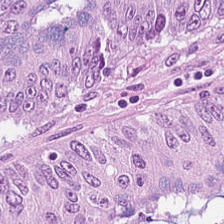224×224 px tile. H&E — Classification — colorectal adenocarcinoma.
